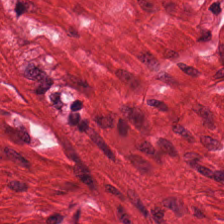Formalin-fixed paraffin-embedded section; H&E stain — Histology → smooth-muscle tissue.
